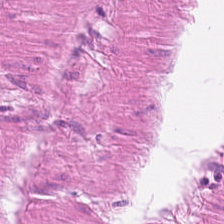Hematoxylin and eosin — This patch shows smooth muscle.
